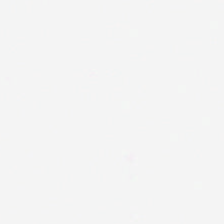H&E stain. No tissue present; background only.
